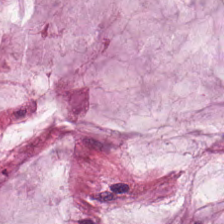0.5 µm/px; formalin-fixed paraffin-embedded section; hematoxylin-and-eosin stained section.
This patch shows mucus.
